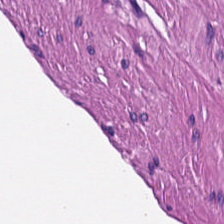20× equivalent magnification; H&E-stained tissue section. This patch shows muscularis.
